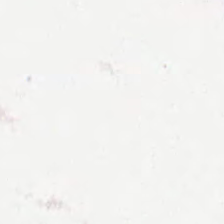Hematoxylin and eosin · 224×224 pixel tile · formalin-fixed paraffin-embedded section — This patch shows empty background.
